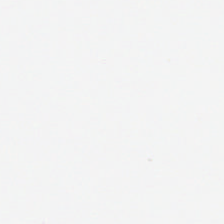Impression — background (no tissue).
